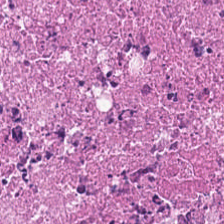0.5 microns per pixel · H&E.
Q: What does this patch show?
A: The field shows debris.
